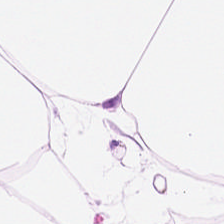Stain: H&E.
Tissue class: adipose tissue.
